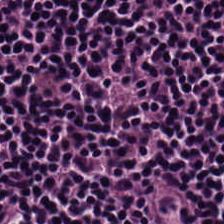Hematoxylin-and-eosin stained section; whole-slide-image patch; FFPE tissue section — Predominant tissue: lymphocyte aggregate.
